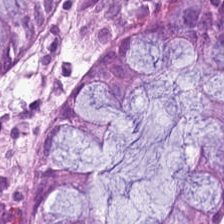H&E-stained tissue section. Showing non-neoplastic colon mucosa.
